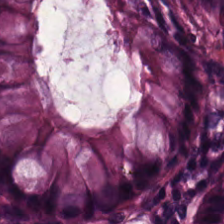0.5 microns per pixel; hematoxylin-and-eosin stained section; WSI patch. Classification = benign colonic mucosa.
